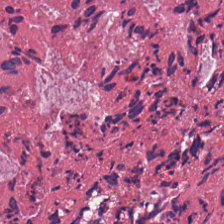H&E.
Tissue type: cellular debris.
